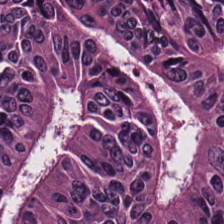Finding — adenocarcinoma.
